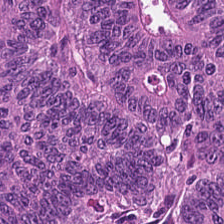0.5 microns per pixel · H&E-stained tissue section · 224×224 pixel tile. Histology → tumor epithelium.
